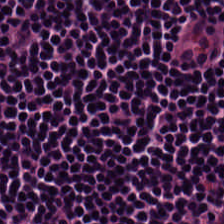H&E — The predominant tissue is lymphocytic infiltrate.
